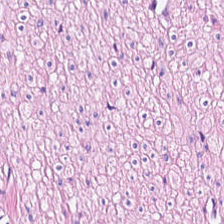Hematoxylin and eosin; brightfield microscopy — This field is smooth-muscle tissue.
